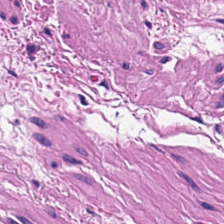0.5 µm/px · H&E-stained tissue section · FFPE. Classification = smooth-muscle tissue.
